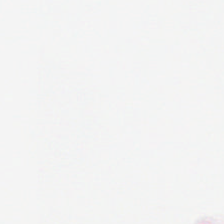H&E-stained tissue section · 224×224 pixel tile — Empty background.
